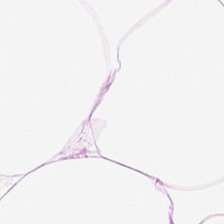Stain: H&E stain.
Tissue class: adipocytes.
